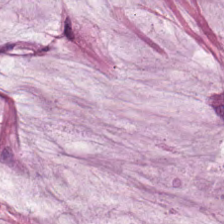H&E stain. Showing mucus.
